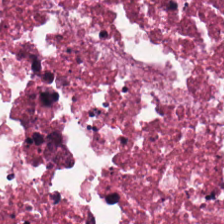224×224 px tile; H&E-stained tissue section. Predominant tissue = necrotic debris.
